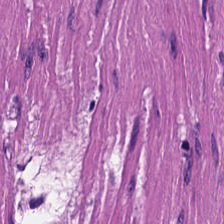Hematoxylin-and-eosin stained section — Q: What type of tissue is this?
A: Muscularis.
